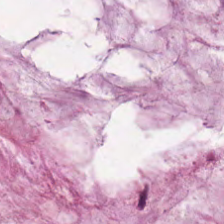H&E-stained tissue section.
Showing mucin.
